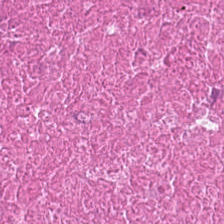Stain: hematoxylin and eosin.
Tissue type: necrotic debris.
